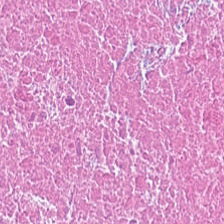H&E.
Predominant tissue: necrotic debris.
